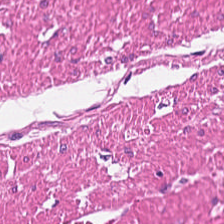Stain: H&E-stained tissue section.
Tissue: smooth muscle.
